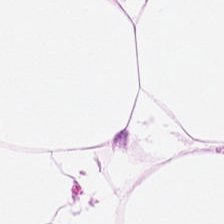H&E-stained tissue section; brightfield microscopy; 0.5 µm per pixel.
Q: Identify the tissue.
A: Adipose tissue.
